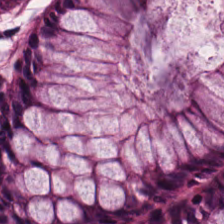This field is benign colonic mucosa.
